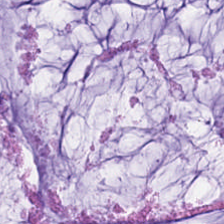Finding — mucin.
